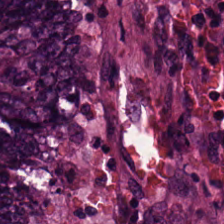Stain: H&E.
Resolution: 0.5 µm per pixel.
Tile size: 224×224 px patch.
Tissue class: tumor epithelium.
